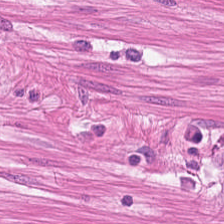Brightfield microscopy · H&E — Finding — muscularis.
